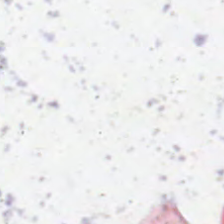Brightfield microscopy; H&E stain.
No tissue present; background only.
